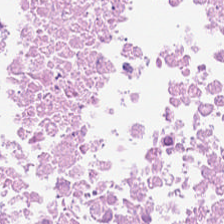H&E-stained tissue section. The predominant tissue is debris.
